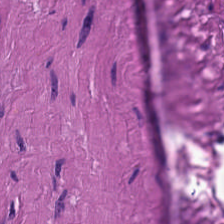H&E-stained section; the field shows smooth-muscle tissue.
